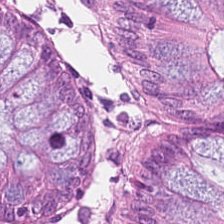Hematoxylin and eosin. Tissue class: normal colon mucosa.
